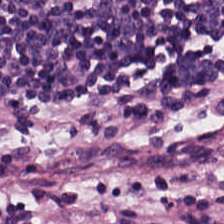The tissue here is lymphoid infiltrate.
